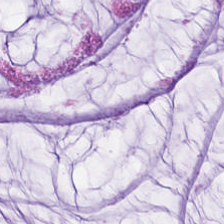Q: Identify the tissue.
A: This is extracellular mucin.
